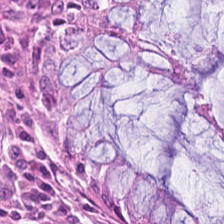H&E-stained tissue section. Brightfield. Formalin-fixed paraffin-embedded section. Predominant tissue = benign colonic mucosa.
